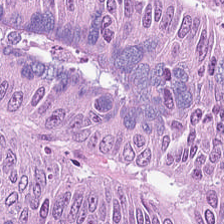The tissue is colorectal adenocarcinoma.
